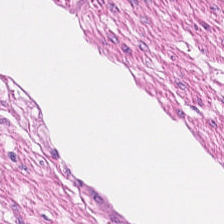Hematoxylin and eosin. Impression — smooth-muscle tissue.
